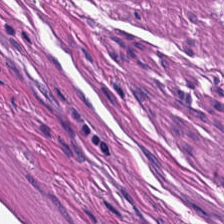H&E · 0.5 microns per pixel · brightfield. Q: What tissue type is shown here?
A: The field shows smooth-muscle tissue.
